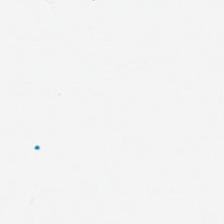Hematoxylin and eosin · FFPE tissue section. Q: What is shown in this field?
A: Empty background.
